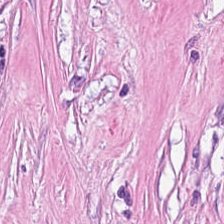H&E — Finding — tumor stroma.
